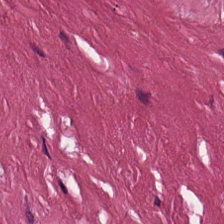Stain: hematoxylin and eosin.
Resolution: 0.5 microns per pixel.
Tile size: 224×224 px patch.
Tissue class: desmoplastic stroma.
